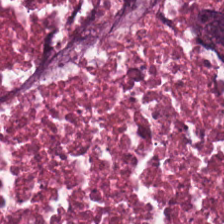Hematoxylin-and-eosin stained section — Q: What does this patch show?
A: It is debris.
